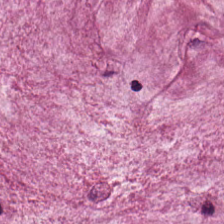Classification — mucus.
